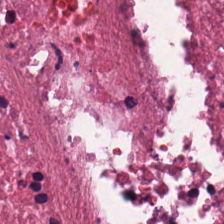The tissue here is debris.
